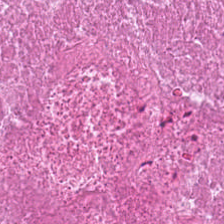The tissue here is debris.
